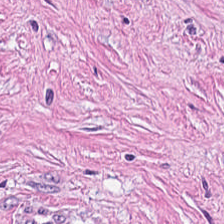H&E-stained tissue section. Q: Classify this patch.
A: Desmoplastic stroma.
